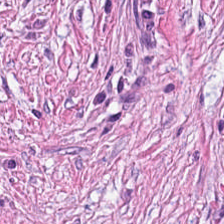H&E-stained tissue section · brightfield microscopy · FFPE.
The tissue here is cancer-associated stroma.
